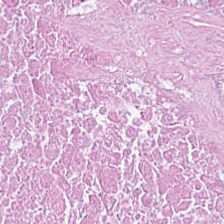Hematoxylin and eosin; brightfield microscopy — Finding → necrotic debris.
